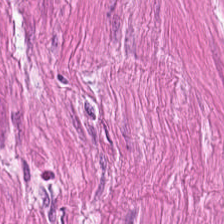H&E-stained tissue section · 20× equivalent magnification · 224×224 px tile.
Finding → smooth-muscle tissue.
